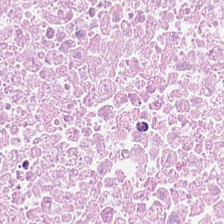H&E-stained tissue section showing debris.
